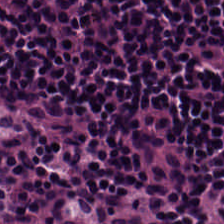Hematoxylin and eosin.
The predominant tissue is lymphoid infiltrate.
